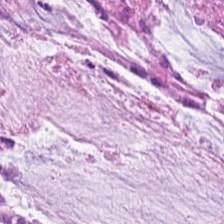Hematoxylin and eosin — Tissue type — mucin.
